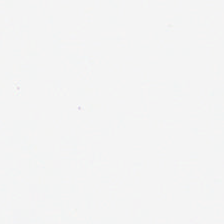Finding → background (no tissue).
